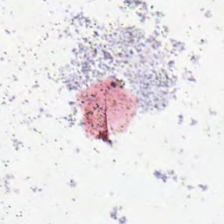Hematoxylin and eosin — No tissue present; background only.
